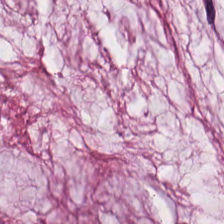0.5 µm per pixel. Hematoxylin and eosin — Predominant tissue = mucus.
